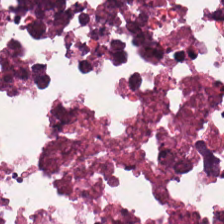H&E. Tissue — necrotic debris.
